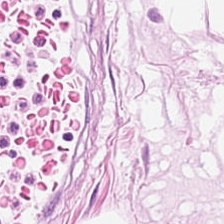H&E.
Q: Identify the tissue.
A: The field shows adipose.
